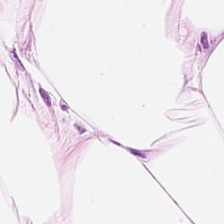Formalin-fixed paraffin-embedded section. Brightfield microscopy. H&E-stained tissue section — Q: Identify the tissue.
A: It is adipocytes.
